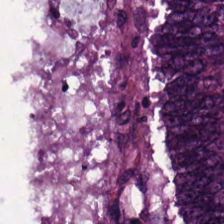Hematoxylin-and-eosin stained section.
Tissue type — adenocarcinoma.
